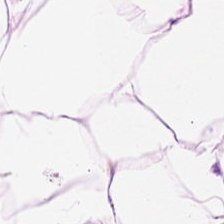Hematoxylin-and-eosin stained section. Predominantly fat tissue.
